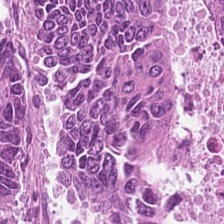H&E · formalin-fixed paraffin-embedded section. Adenocarcinoma.
